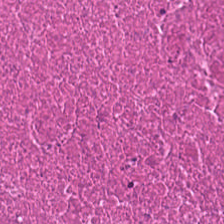Hematoxylin and eosin. 0.5 µm/px. WSI patch. The predominant tissue is necrotic debris.
